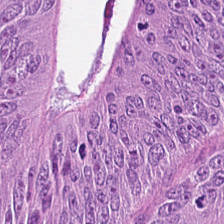Stain: H&E.
Tile size: 224×224 px patch.
Tissue class: malignant epithelium.
